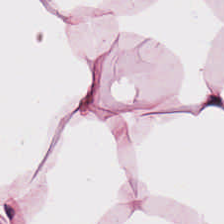H&E-stained tissue section.
Tissue — adipose.
